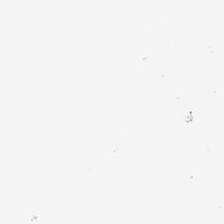Content — empty background.
